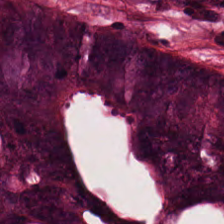H&E — Q: What tissue is shown?
A: It is malignant epithelium.
